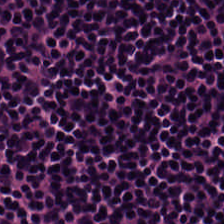Predominant tissue: lymphocytes.
